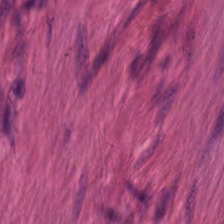0.5 microns per pixel. H&E. Q: What type of tissue is this?
A: It is smooth muscle.
